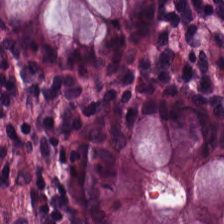H&E stain; 224×224 px patch.
Predominantly normal colonic mucosa.
